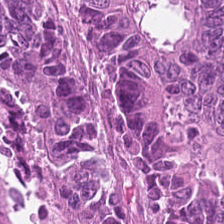Hematoxylin and eosin — Impression → colorectal adenocarcinoma.
